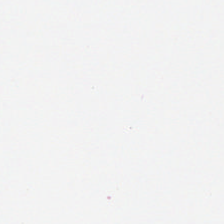Stain: hematoxylin-and-eosin stained section.
Classification: background.
